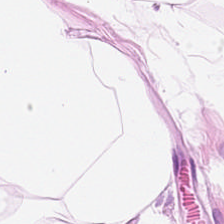Hematoxylin-and-eosin stained section · 224×224 px tile · 0.5 microns per pixel — The predominant tissue is fat tissue.
